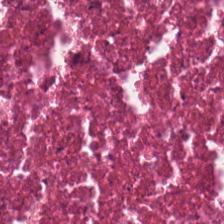224×224 pixel tile; hematoxylin-and-eosin stained section; FFPE.
Tissue type: cellular debris.
